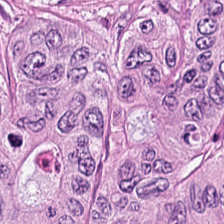Hematoxylin-and-eosin stained section. The tissue class is malignant epithelium.
